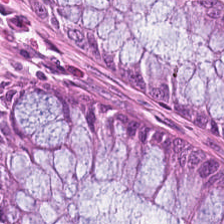FFPE · hematoxylin-and-eosin stained section.
Tissue type — normal colonic mucosa.
